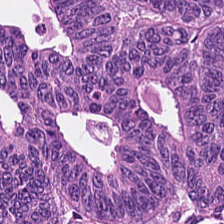Hematoxylin-and-eosin stained section — Classification = colorectal adenocarcinoma.
